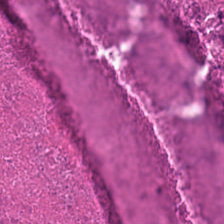Stain: H&E stain.
Tissue: cellular debris.
